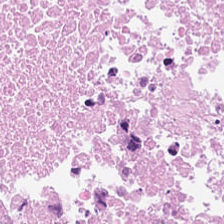Hematoxylin and eosin; FFPE tissue section. This field is cellular debris.
